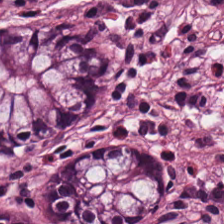0.5 µm/px. 224×224 px tile. Hematoxylin-and-eosin stained section.
This patch shows benign colonic mucosa.
